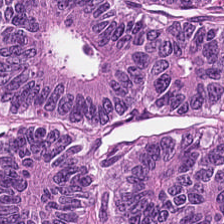H&E. The tissue here is tumor epithelium.
